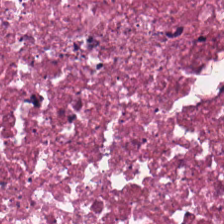H&E stain.
Histology → cellular debris.
